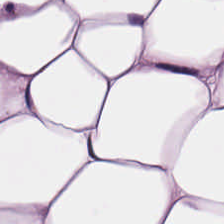224×224 pixel tile; hematoxylin-and-eosin stained section. Impression — adipose.
